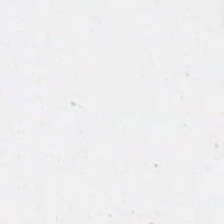Hematoxylin and eosin.
This patch shows no tissue.
